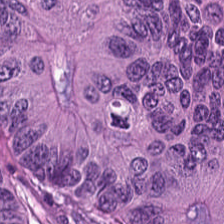Formalin-fixed paraffin-embedded section. H&E. The predominant tissue is adenocarcinoma.
